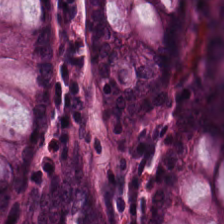224×224 px patch · brightfield microscopy · H&E.
Tissue class: normal colon mucosa.
